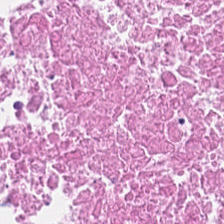WSI patch. H&E-stained tissue section. Formalin-fixed paraffin-embedded section — The predominant tissue is debris.
